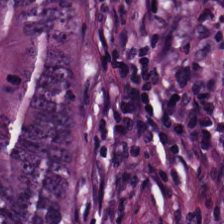FFPE. Hematoxylin-and-eosin stained section. 20× equivalent magnification. {"tissue_type": "malignant epithelium"}
